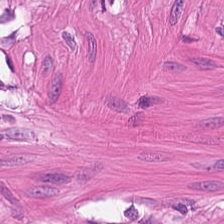H&E-stained tissue section · 0.5 microns per pixel.
Q: What is shown in this field?
A: This is smooth muscle.
